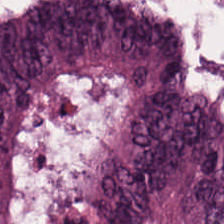This patch shows malignant epithelium.
